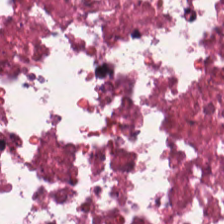H&E.
The predominant tissue is necrotic debris.
